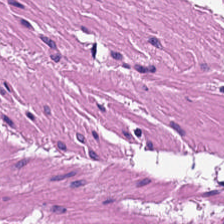Tissue type: smooth-muscle tissue.
